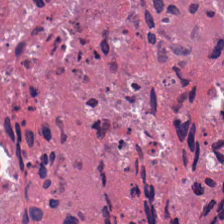Hematoxylin-and-eosin stained section. The predominant tissue is debris.
